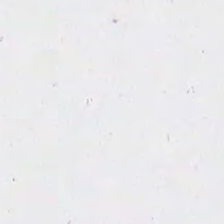Hematoxylin-and-eosin stained section.
The classification is empty background.
